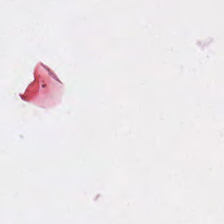H&E stain.
Field content — no tissue.
